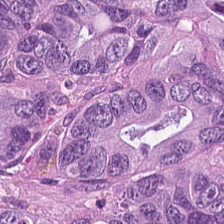Q: What type of tissue is this?
A: The field shows tumor epithelium.
